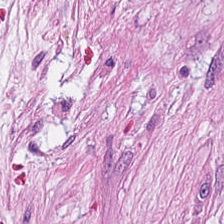H&E-stained tissue section · 224×224 pixel tile.
Predominantly tumor-associated stroma.
